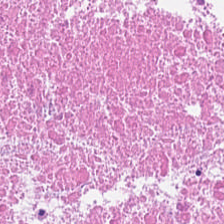H&E. Q: What is shown in this field?
A: Cellular debris.
